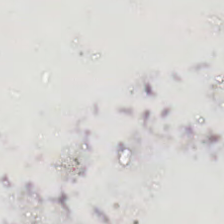Hematoxylin and eosin.
Background — no tissue in this field.
